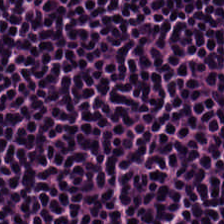0.5 microns per pixel; hematoxylin-and-eosin stained section.
This patch shows lymphocytic infiltrate.
